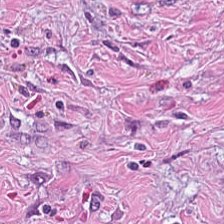Tumor stroma.
